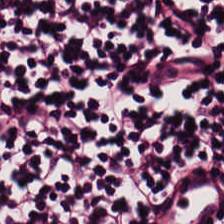Hematoxylin and eosin.
Predominantly lymphocyte aggregate.
